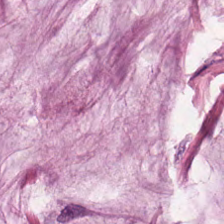0.5 µm/px · 224×224 px tile · H&E stain. This patch shows mucus.
